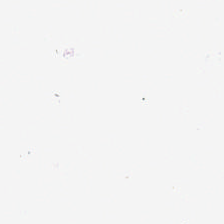Hematoxylin-and-eosin stained section · 0.5 µm per pixel — Background — no tissue in this field.
